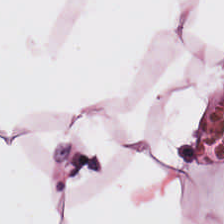H&E stain; 224×224 px tile.
This patch shows adipose tissue.
